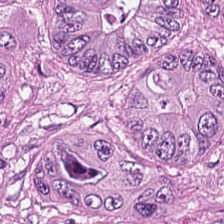H&E. Predominant tissue — colorectal adenocarcinoma epithelium.
